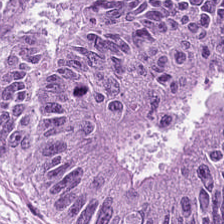Showing malignant epithelium.
